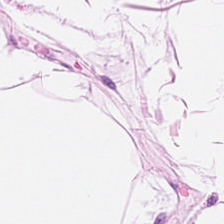H&E stain; 0.5 µm per pixel.
This field is adipose tissue.
